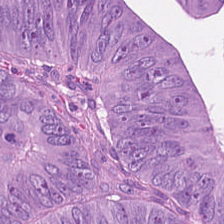Stain: hematoxylin and eosin.
Tissue type: adenocarcinoma.
